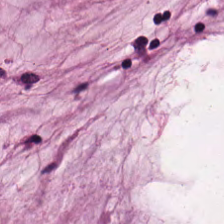H&E stain.
Finding — extracellular mucin.
